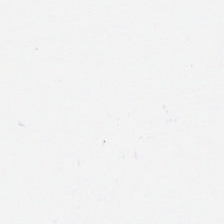H&E · brightfield microscopy · 0.5 µm/px.
{"content": "background"}
